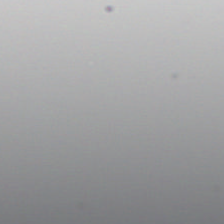This patch shows background (no tissue).
